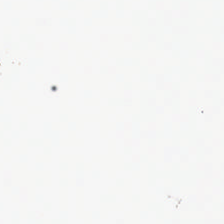Whole-slide-image patch. FFPE. H&E stain. Empty field — empty background.
